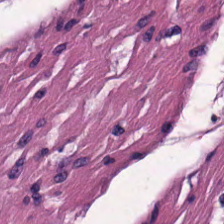H&E · 224×224 px patch · 20× equivalent magnification. The tissue here is muscularis.
